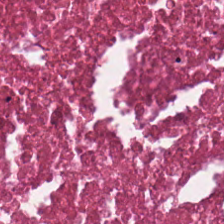20× equivalent magnification; H&E; 224×224 px patch.
The tissue is necrotic debris.
